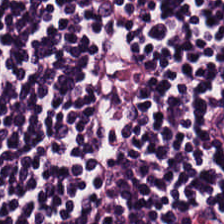Hematoxylin-and-eosin stained section. The tissue here is lymphocytic infiltrate.
